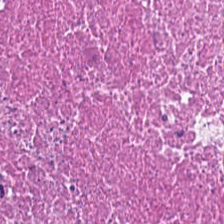H&E-stained tissue section showing cellular debris.
